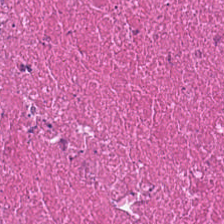H&E-stained tissue section · 224×224 pixel tile — Tissue — debris.
